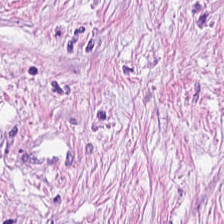H&E-stained tissue section. The predominant tissue is tumor stroma.
